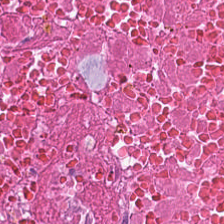Hematoxylin-and-eosin stained section · 224×224 px patch. Tissue type: debris.
